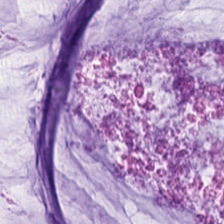Stain: hematoxylin and eosin.
Tile size: 224×224 px tile.
Acquisition: brightfield microscopy.
Tissue class: mucin.
